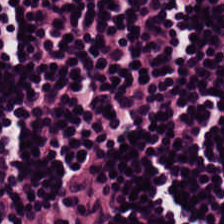Hematoxylin and eosin.
Q: What is the predominant tissue type?
A: Lymphocytic infiltrate.
